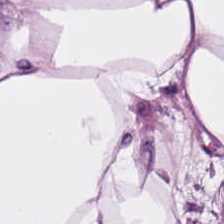Stain: hematoxylin-and-eosin stained section.
Tile size: 224×224 px patch.
Tissue: adipose.
